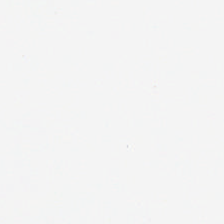Histology — background (no tissue).
